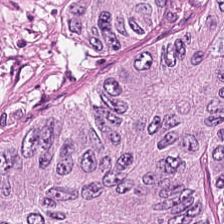H&E-stained tissue section. 0.5 µm/px. Histology → adenocarcinoma.
